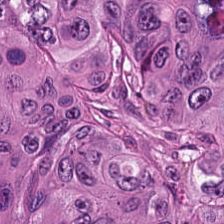The predominant tissue is colorectal adenocarcinoma epithelium.
